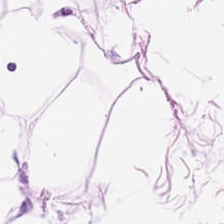Stain: hematoxylin and eosin.
Tissue type: fat tissue.
